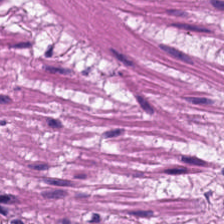H&E stain — Predominant tissue — smooth-muscle tissue.
